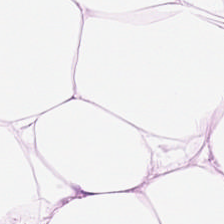Hematoxylin-and-eosin stained section. Q: What tissue type is shown here?
A: The field shows adipocytes.
